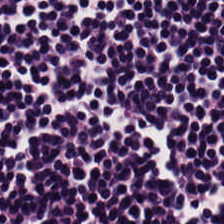Tissue — lymphoid infiltrate.
